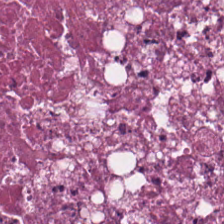224×224 px patch · hematoxylin-and-eosin stained section.
Finding — cellular debris.
